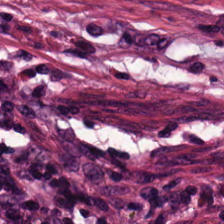H&E. Q: What tissue is shown?
A: Tumor-associated stroma.
